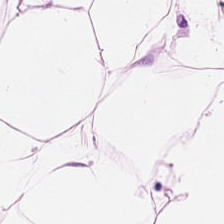Predominant tissue: adipose tissue.
